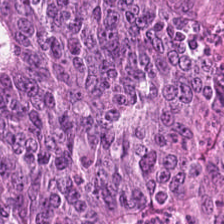Q: What tissue type is shown here?
A: This is colorectal adenocarcinoma epithelium.
